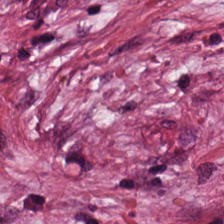Q: What does this patch show?
A: It is tumor-associated stroma.
